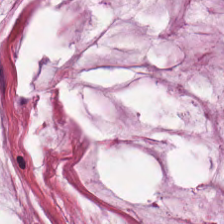Hematoxylin-and-eosin stained section · whole-slide-image patch — Predominantly mucus.
